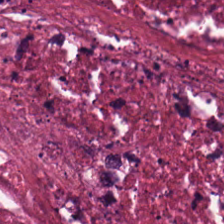Q: Classify this patch.
A: Debris.
